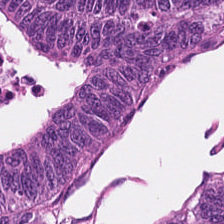Stain: hematoxylin-and-eosin stained section.
Preparation: formalin-fixed paraffin-embedded section.
Predominant tissue: colorectal adenocarcinoma epithelium.
